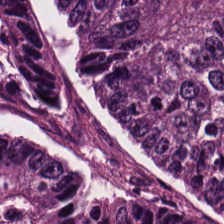Hematoxylin and eosin.
Tissue class = colorectal adenocarcinoma.
